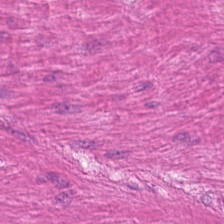H&E-stained tissue section — {"tissue_type": "muscularis"}
